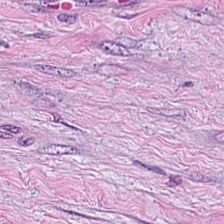0.5 µm per pixel; H&E stain.
Finding — tumor-associated stroma.
